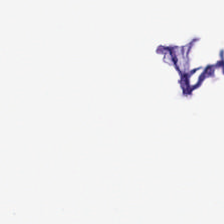Stain: H&E stain.
Tile size: 224×224 px patch.
Field content: no tissue.
